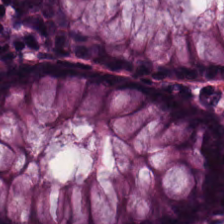H&E stain · 0.5 microns per pixel · FFPE.
Tissue class = non-neoplastic colon mucosa.
